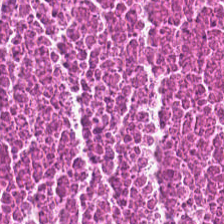H&E — Predominantly debris.
